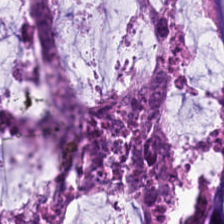Hematoxylin and eosin — {"tissue_type": "extracellular mucin"}
